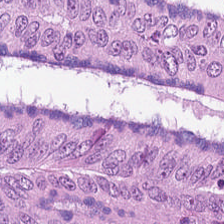Tissue type: colorectal adenocarcinoma.
